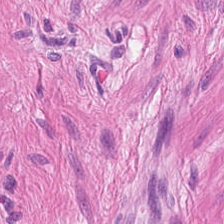H&E stain.
Q: What type of tissue is this?
A: This is muscularis.
